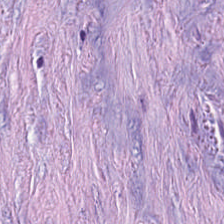Hematoxylin and eosin — Tissue type: tumor stroma.
